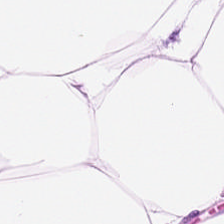H&E patch showing adipocytes.
